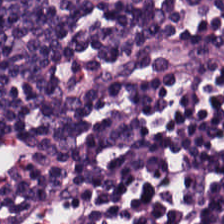The tissue here is lymphocytes.
